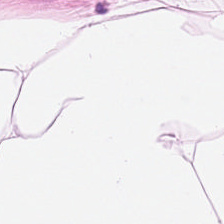H&E — adipose.
